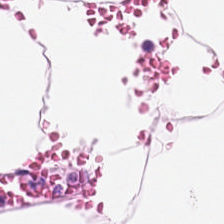H&E-stained tissue section; 224×224 px tile; formalin-fixed paraffin-embedded section — Predominantly adipocytes.
